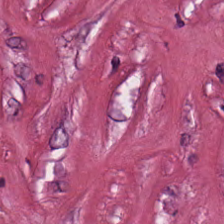Stain: H&E.
Preparation: FFPE.
Classification: tumor-associated stroma.
